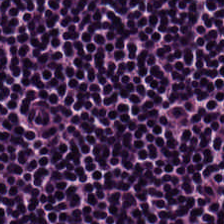H&E-stained tissue section — The predominant tissue is lymphocyte aggregate.
